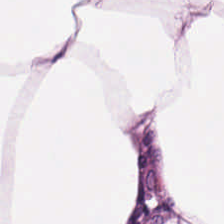Hematoxylin and eosin — Q: Identify the tissue.
A: The field shows adipose tissue.
